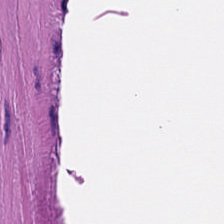224×224 px patch. H&E stain — Classification — muscularis.
